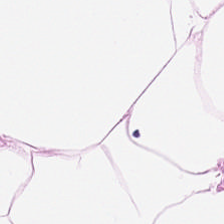H&E-stained tissue section.
Q: What is shown in this field?
A: It is adipose tissue.
